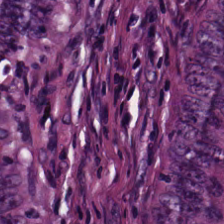Stain: H&E-stained tissue section.
Tile size: 224×224 px tile.
Tissue type: colorectal adenocarcinoma.
